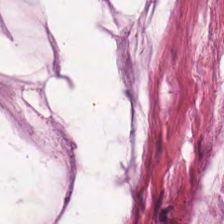Brightfield; hematoxylin and eosin; 224×224 px tile — The predominant tissue is mucin.
